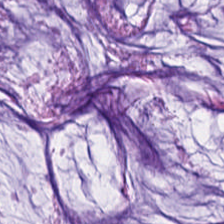Hematoxylin and eosin — Predominant tissue = extracellular mucin.
